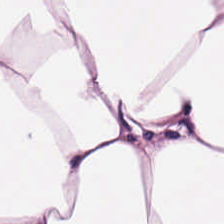Stain: hematoxylin-and-eosin stained section.
Classification: adipocytes.
